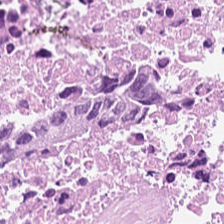Stain: H&E.
Resolution: 0.5 µm/px.
Tissue type: debris.
